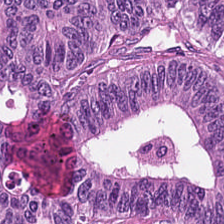Hematoxylin and eosin. The tissue here is malignant epithelium.
